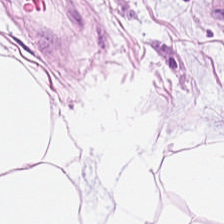H&E — Adipose tissue.
